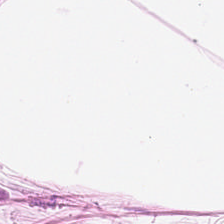H&E stain.
Histology — fat tissue.
